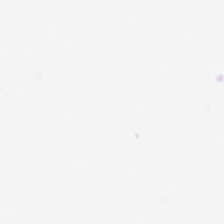Stain: H&E.
Classification: empty background.
